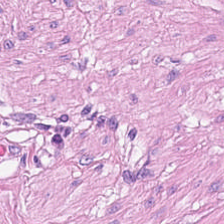H&E-stained tissue section. Brightfield.
Q: What tissue type is shown here?
A: Smooth muscle.
